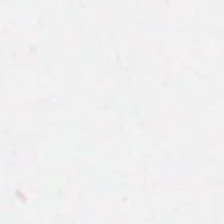Classification — empty background.
